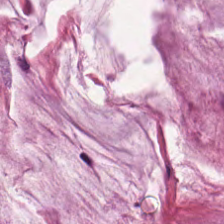H&E stain. Tissue type: extracellular mucin.
